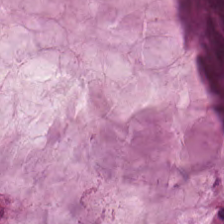H&E-stained tissue section.
Predominantly extracellular mucin.
